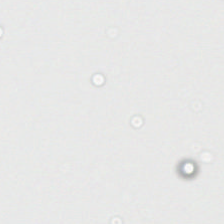WSI patch; hematoxylin and eosin. This field is background (no tissue).
